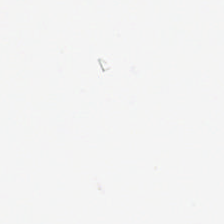FFPE tissue section; H&E stain — Background.
